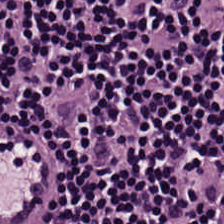Impression → lymphocytic infiltrate.
